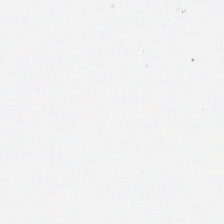Hematoxylin-and-eosin stained section — This patch shows no tissue.
